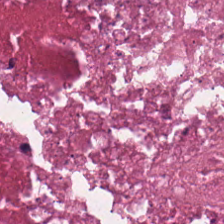H&E stain.
Predominantly necrotic debris.
